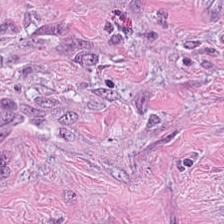Hematoxylin-and-eosin stained section.
Q: What is shown in this field?
A: This is tumor-associated stroma.
